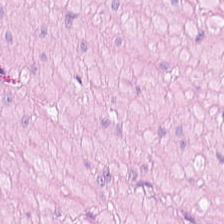Hematoxylin and eosin. Tissue — smooth muscle.
